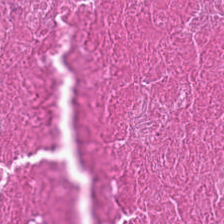H&E. The tissue is cellular debris.
